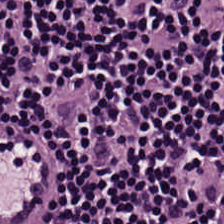Formalin-fixed paraffin-embedded section · H&E stain — Classification: lymphocytes.
